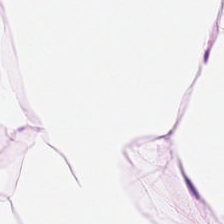This patch shows adipose tissue.
